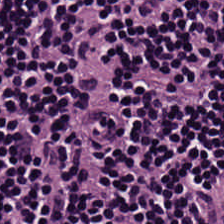H&E; whole-slide-image patch. This field is lymphocyte aggregate.
